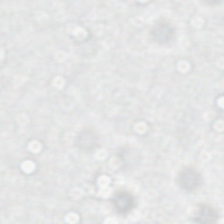H&E.
Empty field — empty background.
